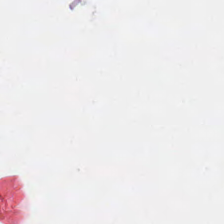H&E stain. Q: Classify this patch.
A: Background.
